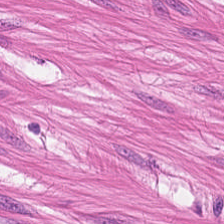H&E stain — Tissue = muscularis.
